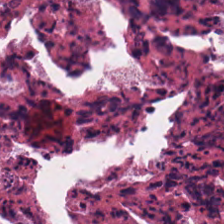H&E stain. Debris.
